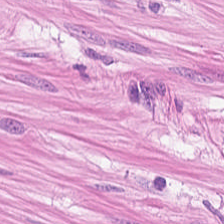H&E stain.
Tissue class = muscularis.
